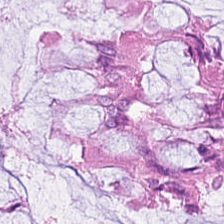H&E · 0.5 microns per pixel. Tissue type — normal colonic mucosa.
